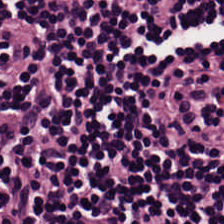Formalin-fixed paraffin-embedded section; H&E.
The predominant tissue is lymphoid infiltrate.
